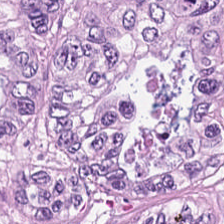FFPE tissue section · whole-slide-image patch · hematoxylin and eosin.
Showing adenocarcinoma.
